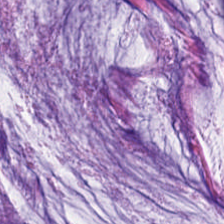Whole-slide-image patch. 0.5 µm per pixel. H&E. Tissue class: mucin.
